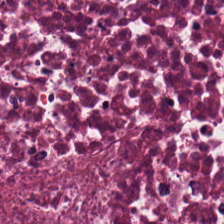Hematoxylin-and-eosin stained section — This patch shows necrotic debris.
